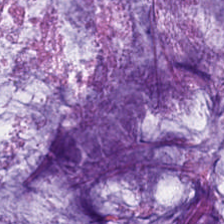224×224 pixel tile; H&E-stained tissue section; 0.5 µm/px — Impression → extracellular mucin.
